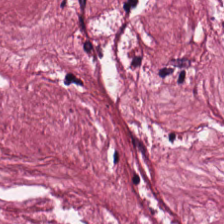Stain: H&E-stained tissue section.
Preparation: formalin-fixed paraffin-embedded section.
Tissue: tumor-associated stroma.
